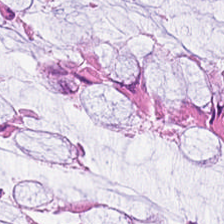Formalin-fixed paraffin-embedded section. H&E-stained tissue section.
The classification is normal colon mucosa.
